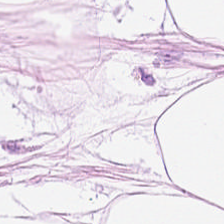Finding — adipose tissue.
